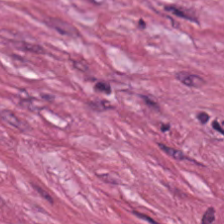224×224 px patch; FFPE; hematoxylin-and-eosin stained section.
Tissue type: tumor-associated stroma.
